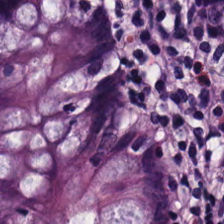Predominant tissue: non-neoplastic colon mucosa.
